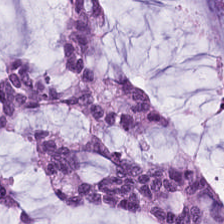Hematoxylin and eosin. Formalin-fixed paraffin-embedded section. Tissue type — mucus.
